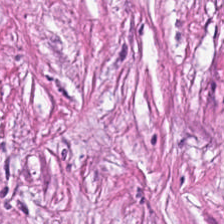Stain: hematoxylin-and-eosin stained section.
Tissue type: tumor-associated stroma.
